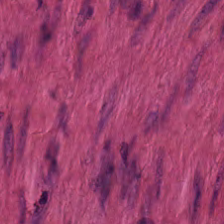H&E-stained tissue section — Q: Identify the tissue.
A: The field shows smooth-muscle tissue.
